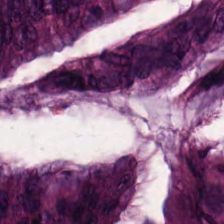Hematoxylin and eosin; 20× equivalent magnification — Q: What does this patch show?
A: The field shows colorectal adenocarcinoma epithelium.
